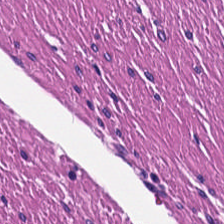Q: What is shown here?
A: Muscularis.
